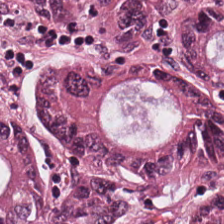Hematoxylin-and-eosin stained section. Tissue class — tumor epithelium.
